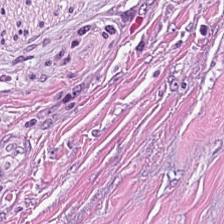224×224 pixel tile · hematoxylin-and-eosin stained section. Predominant tissue = cancer-associated stroma.
